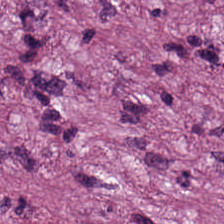H&E. This patch shows cancer-associated stroma.
